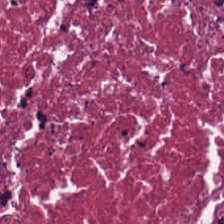H&E.
Showing debris.
